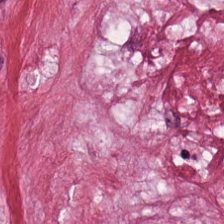H&E. The tissue here is tumor-associated stroma.
